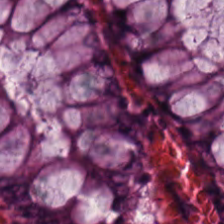Hematoxylin-and-eosin stained section. Impression — non-neoplastic colon mucosa.
